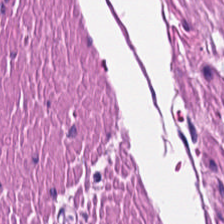Predominantly smooth-muscle tissue.
